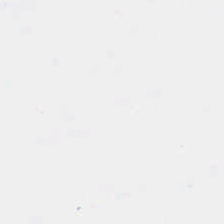Field content = no tissue.
